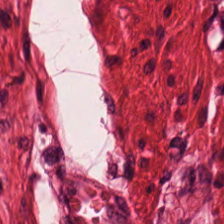FFPE · 224×224 px tile · hematoxylin-and-eosin stained section.
Tissue type — smooth muscle.
